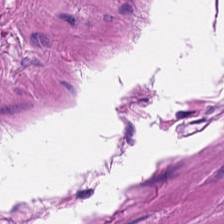Hematoxylin-and-eosin stained section · 224×224 pixel tile. Smooth muscle.
